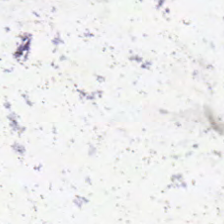H&E stain. WSI patch — {"content": "background"}
